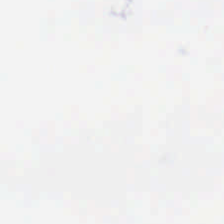Hematoxylin and eosin · 20× equivalent magnification. Classification — background.
